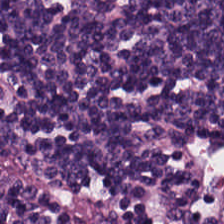Classification = lymphocyte aggregate.
